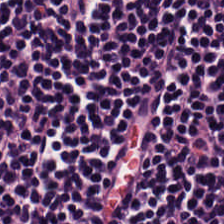Hematoxylin and eosin.
Predominantly lymphocytes.
